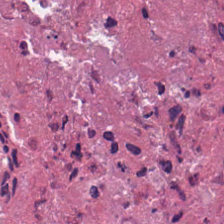H&E.
This field is cellular debris.
